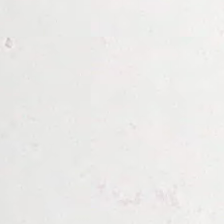{"content": "no tissue"}
